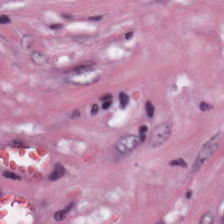Stain: H&E stain.
Acquisition: brightfield.
Tile size: 224×224 px patch.
Tissue: cancer-associated stroma.
